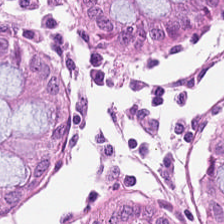FFPE tissue section · hematoxylin and eosin · 224×224 pixel tile. This field is normal colon mucosa.
